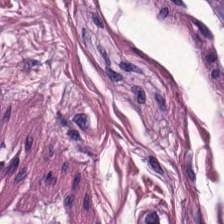Stain: H&E stain.
Tissue class: muscularis.
